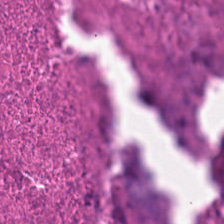Hematoxylin and eosin · whole-slide-image patch.
The predominant tissue is debris.
